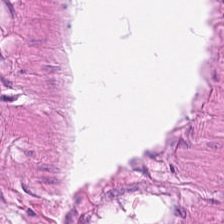0.5 µm per pixel. Hematoxylin-and-eosin stained section.
The tissue here is muscularis.
